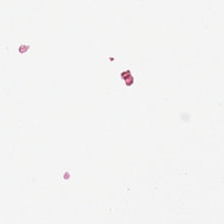Finding → empty background.
